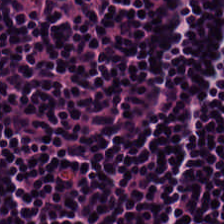Stain: hematoxylin-and-eosin stained section.
Tissue: lymphocyte aggregate.
